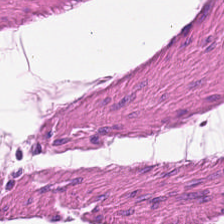H&E stain — Predominantly smooth-muscle tissue.
